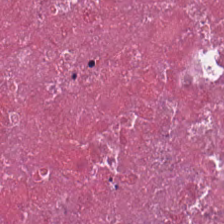H&E-stained tissue section — Q: What is shown in this field?
A: Cellular debris.
